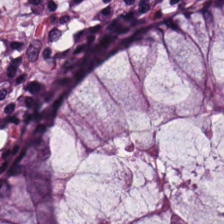Hematoxylin and eosin · 224×224 px patch — This field is normal colon mucosa.
